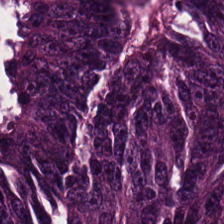Tissue class — tumor epithelium.
